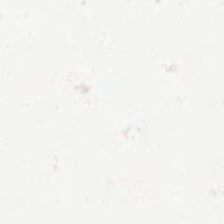Brightfield microscopy; hematoxylin and eosin.
Finding — no tissue.
